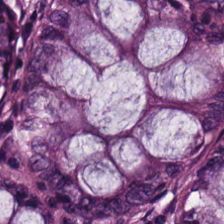Hematoxylin and eosin. Predominantly normal colon mucosa.
